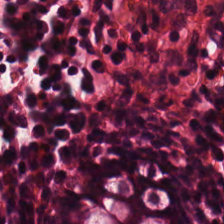Hematoxylin and eosin — Tissue: normal colon mucosa.
